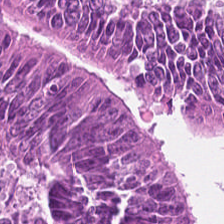H&E — Colorectal adenocarcinoma epithelium.
